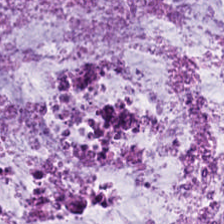Hematoxylin and eosin.
Showing extracellular mucin.
